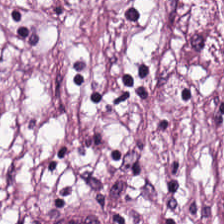224×224 pixel tile · hematoxylin and eosin · 0.5 µm per pixel. Q: What type of tissue is this?
A: It is desmoplastic stroma.
